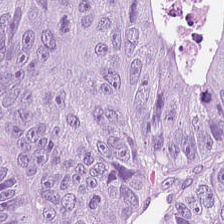Q: What is the predominant tissue type?
A: Tumor epithelium.
